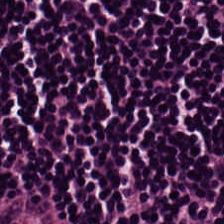The predominant tissue is lymphocytic infiltrate.
